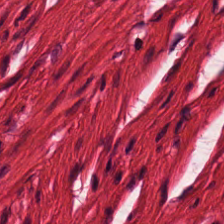Stain: hematoxylin and eosin.
Classification: smooth-muscle tissue.
